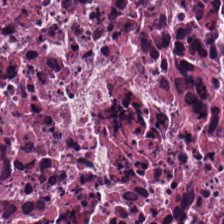H&E-stained tissue section. 20× equivalent magnification. Predominantly cellular debris.
